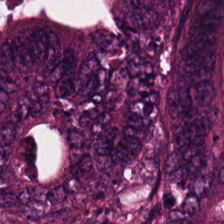The classification is colorectal adenocarcinoma epithelium.
